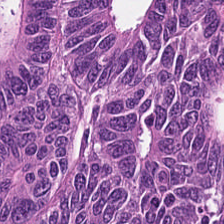0.5 µm per pixel. H&E. Formalin-fixed paraffin-embedded section — Classification = tumor epithelium.
